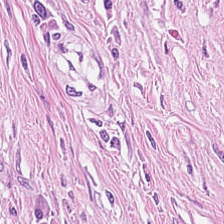H&E-stained tissue section.
Classification = cancer-associated stroma.
